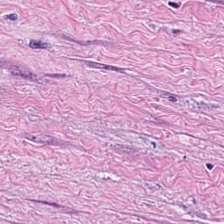H&E-stained section; the field shows desmoplastic stroma.
